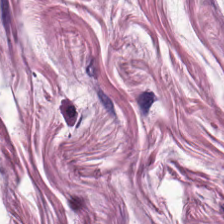Stain: hematoxylin and eosin.
Acquisition: WSI patch.
Tile size: 224×224 px patch.
Predominant tissue: muscularis.
